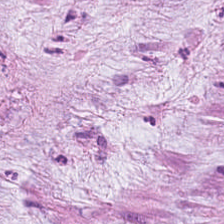Whole-slide-image patch. H&E stain.
Predominantly mucin.
